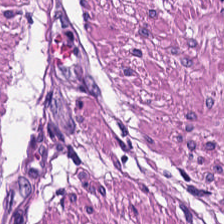Hematoxylin and eosin.
This patch shows smooth muscle.
